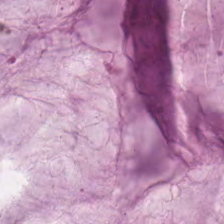Tissue — mucus.
